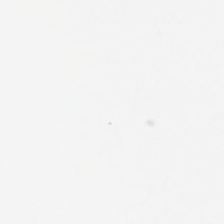Hematoxylin-and-eosin stained section.
Content: no tissue.
